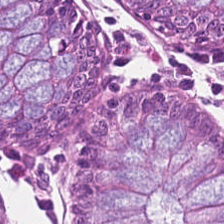Hematoxylin-and-eosin section: benign colonic mucosa.
